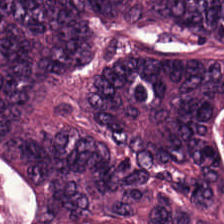Hematoxylin-and-eosin stained section. The tissue is malignant epithelium.
